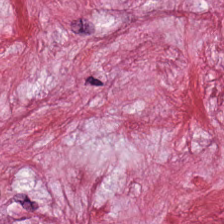0.5 µm per pixel; 224×224 pixel tile; hematoxylin and eosin — Q: What tissue is shown?
A: This is tumor-associated stroma.
